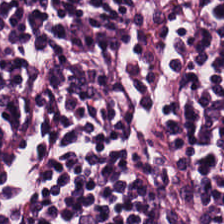Stain: H&E.
Classification: lymphocytic infiltrate.
